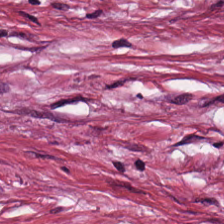Hematoxylin-and-eosin stained section · 224×224 pixel tile · brightfield. Q: What is shown here?
A: The field shows tumor stroma.
